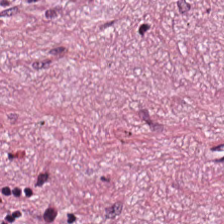Brightfield microscopy; H&E.
Predominant tissue = tumor stroma.
